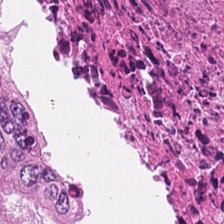Q: What tissue is shown?
A: It is necrotic debris.
